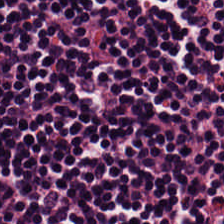20× equivalent magnification · H&E.
The predominant tissue is lymphoid infiltrate.
